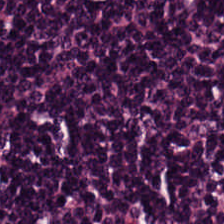Impression → lymphoid infiltrate.
